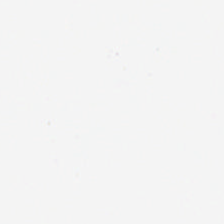224×224 pixel tile · FFPE tissue section · hematoxylin-and-eosin stained section — This patch shows background (no tissue).
